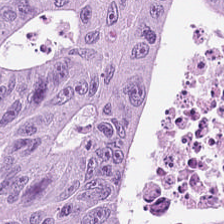H&E. 20× equivalent magnification. This field is colorectal adenocarcinoma.
